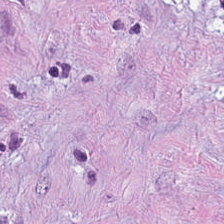Whole-slide-image patch; H&E-stained tissue section. Impression — cancer-associated stroma.
